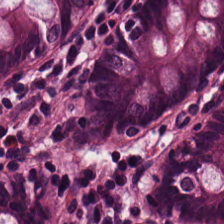H&E — Q: What is shown in this field?
A: It is non-neoplastic colon mucosa.
